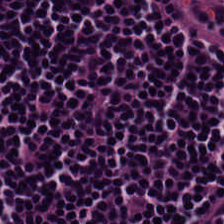FFPE tissue section; H&E-stained tissue section; whole-slide-image patch.
Impression — lymphocytes.
